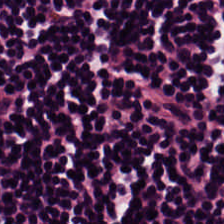FFPE · H&E stain — The tissue here is lymphocytes.
